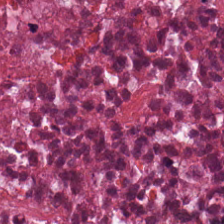Q: What is shown here?
A: It is cellular debris.
